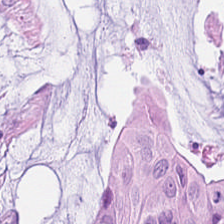Predominant tissue — mucin.
